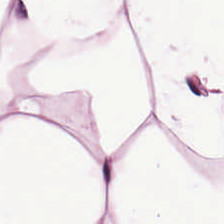Stain: H&E-stained tissue section.
Acquisition: whole-slide-image patch.
Tissue class: adipose tissue.
